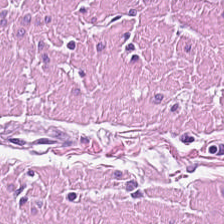20× equivalent magnification · 224×224 px tile · H&E.
Tissue type = muscularis.
